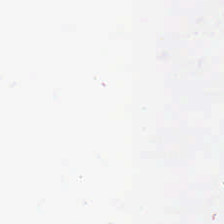Whole-slide-image patch · H&E-stained tissue section.
The content is no tissue.
